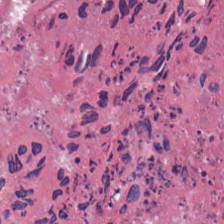Hematoxylin-and-eosin stained section. Cellular debris.
